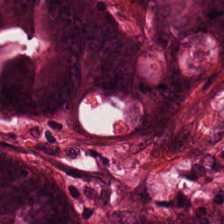Impression → tumor epithelium.
